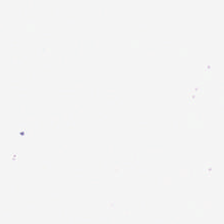Stain: H&E stain.
Field content: background.
